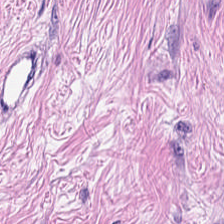Showing cancer-associated stroma.
